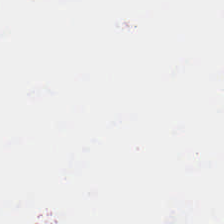Empty field — empty background.
